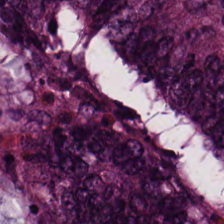H&E patch showing colorectal adenocarcinoma.
